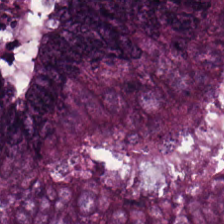Stain: hematoxylin and eosin.
Tissue: tumor epithelium.
